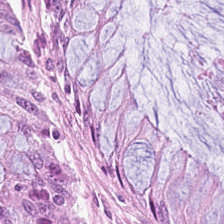Stain: H&E-stained tissue section.
Tissue: normal colon mucosa.
